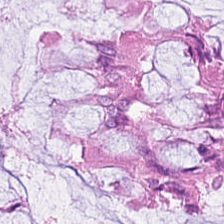Hematoxylin and eosin. Classification = non-neoplastic colon mucosa.
